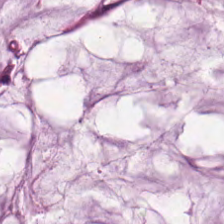H&E stain. {"tissue_type": "extracellular mucin"}
